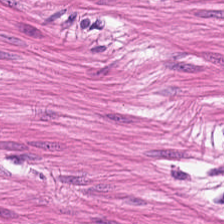224×224 px patch; H&E stain.
Classification — smooth muscle.
